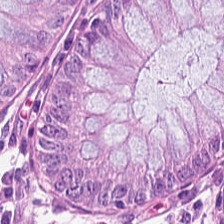Formalin-fixed paraffin-embedded section · hematoxylin and eosin — The tissue here is normal colonic mucosa.
